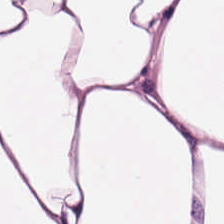224×224 px patch. H&E stain. Brightfield microscopy. Q: What is shown here?
A: Adipose tissue.
